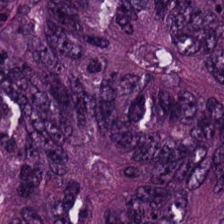Hematoxylin-and-eosin stained section. Q: What tissue is shown?
A: Colorectal adenocarcinoma epithelium.
